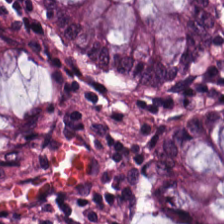H&E stain — The classification is normal colon mucosa.
